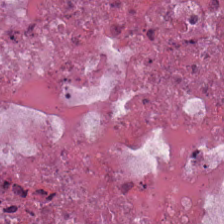H&E — The tissue is debris.
